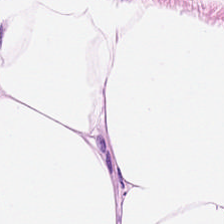Stain: hematoxylin and eosin.
Classification: adipocytes.
